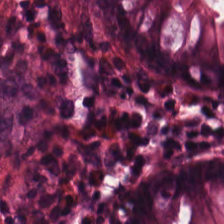20× equivalent magnification. H&E stain.
Finding → benign colonic mucosa.
